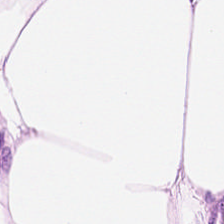H&E-stained tissue section. FFPE. 224×224 px patch.
The tissue is adipose tissue.
